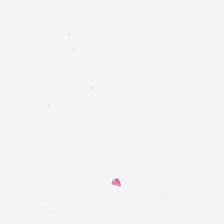Whole-slide-image patch. H&E-stained tissue section — This field is background (no tissue).
